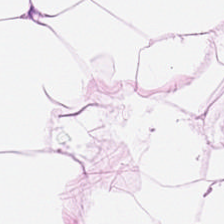H&E stain. Whole-slide-image patch — Predominant tissue = adipocytes.
